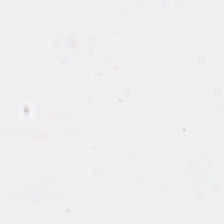Background.
